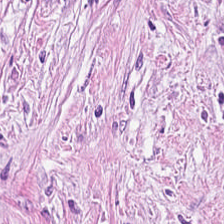Hematoxylin and eosin; 0.5 microns per pixel — Q: What tissue type is shown here?
A: It is cancer-associated stroma.
